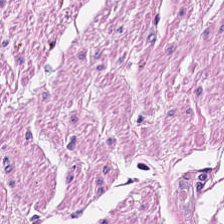Stain: H&E-stained tissue section.
Tissue class: smooth-muscle tissue.
